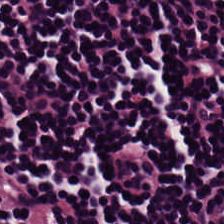Stain: H&E.
Predominant tissue: lymphocyte aggregate.
